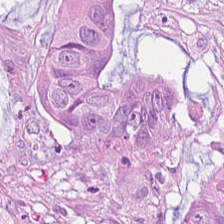Hematoxylin and eosin. Histology — tumor epithelium.
